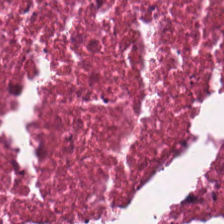Hematoxylin-and-eosin stained section. FFPE tissue section.
Q: What type of tissue is this?
A: It is necrotic debris.
